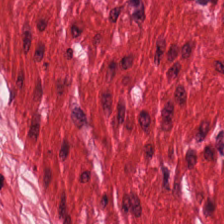Smooth muscle.
